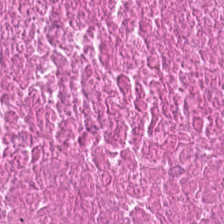Hematoxylin-and-eosin stained section · 0.5 µm per pixel. Q: What is shown here?
A: It is cellular debris.
